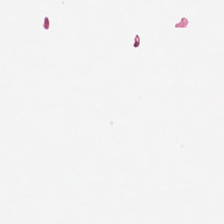Finding — background.
